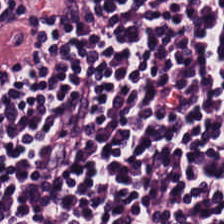Hematoxylin-and-eosin stained section — Q: What tissue is shown?
A: Lymphoid infiltrate.
